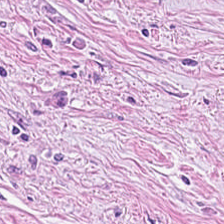Showing tumor-associated stroma.
